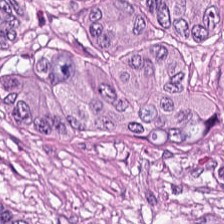H&E-stained tissue section.
Showing adenocarcinoma.
